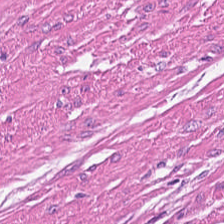Hematoxylin-and-eosin stained section — Q: What tissue is shown?
A: The field shows muscularis.
